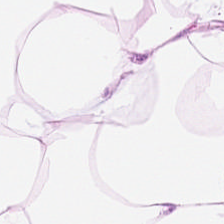The tissue is adipose.
